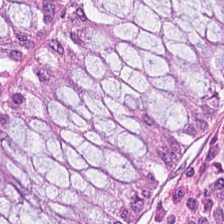Predominantly benign colonic mucosa.
